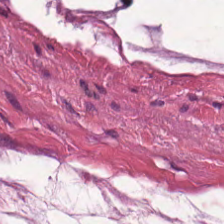H&E-stained tissue section showing mucus.
